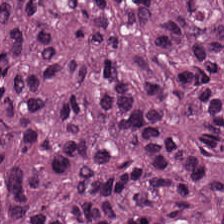H&E-stained tissue section. The predominant tissue is malignant epithelium.
